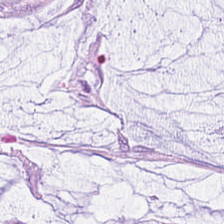H&E stain — Q: What is shown in this field?
A: It is mucus.
